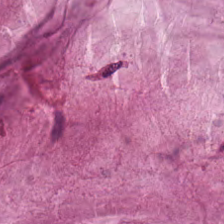20× equivalent magnification; hematoxylin-and-eosin stained section.
Tissue — mucus.
